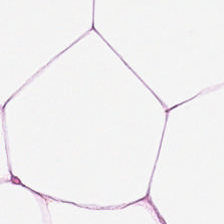Stain: H&E stain.
Classification: fat tissue.
